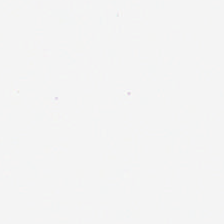Hematoxylin and eosin — Q: What is shown in this field?
A: The field shows background (no tissue).
